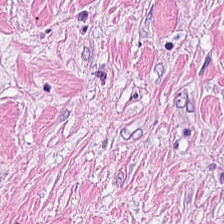224×224 pixel tile · 20× equivalent magnification · hematoxylin-and-eosin stained section. {"tissue_type": "tumor-associated stroma"}
